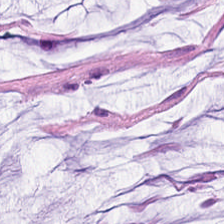H&E-stained tissue section.
Extracellular mucin.
